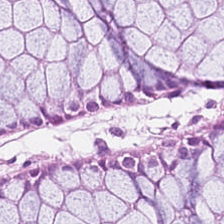224×224 pixel tile; hematoxylin and eosin.
The predominant tissue is benign colonic mucosa.
